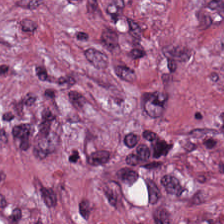Brightfield · H&E-stained tissue section. Tissue type: cancer-associated stroma.
